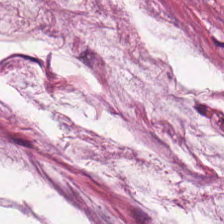Classification: mucus.
